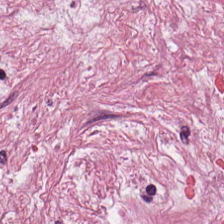Hematoxylin-and-eosin stained section; FFPE.
Predominantly desmoplastic stroma.
